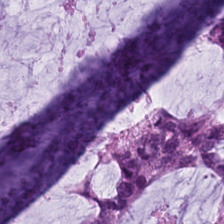0.5 µm/px · hematoxylin and eosin — The tissue here is extracellular mucin.
